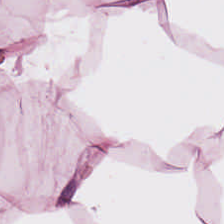Whole-slide-image patch; H&E; FFPE. This field is fat tissue.
